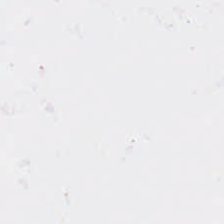The field content is background (no tissue).
